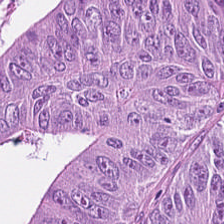Hematoxylin and eosin · 224×224 pixel tile.
Tissue class: colorectal adenocarcinoma epithelium.
